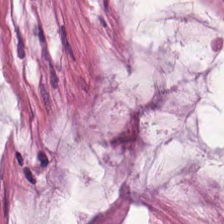Classification — extracellular mucin.
